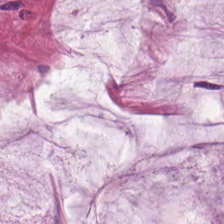WSI patch · 0.5 microns per pixel · H&E — Tissue class — extracellular mucin.
